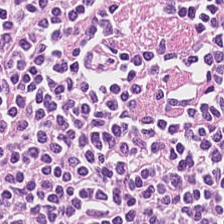Stain: hematoxylin and eosin.
Tissue class: lymphocytes.
